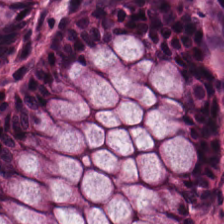H&E-stained tissue section. 0.5 microns per pixel. FFPE. Showing benign colonic mucosa.
